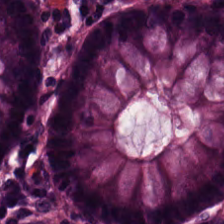Hematoxylin-and-eosin stained section. This patch shows non-neoplastic colon mucosa.
